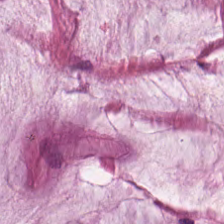Hematoxylin and eosin · WSI patch — Classification: extracellular mucin.
